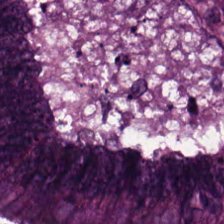Hematoxylin-and-eosin stained section · formalin-fixed paraffin-embedded section.
Predominantly tumor epithelium.
